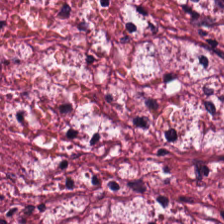H&E-stained tissue section.
Classification: cancer-associated stroma.
